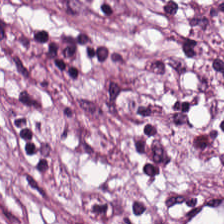H&E.
Showing tumor-associated stroma.
